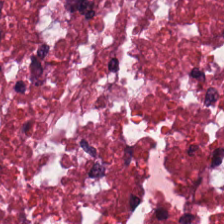Hematoxylin and eosin. {"tissue_type": "necrotic debris"}
